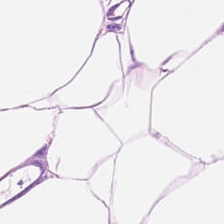Hematoxylin and eosin; WSI patch; 0.5 µm/px. This patch shows adipose.
